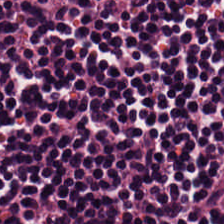H&E-stained tissue section — Classification — lymphocytes.
